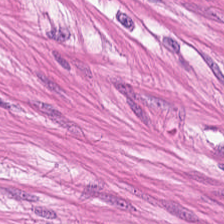Brightfield microscopy; H&E; FFPE. Q: What tissue is shown?
A: Smooth muscle.
